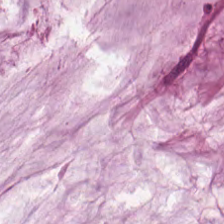Hematoxylin and eosin; formalin-fixed paraffin-embedded section.
The tissue here is mucus.
